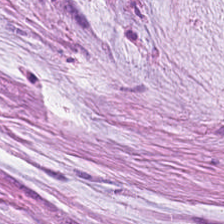The predominant tissue is mucus.
